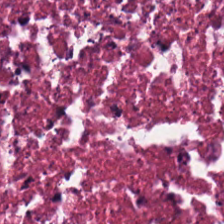Hematoxylin and eosin.
Cellular debris.
